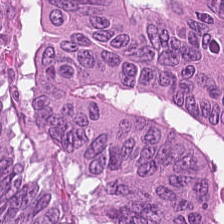Brightfield · hematoxylin and eosin. Impression — malignant epithelium.
